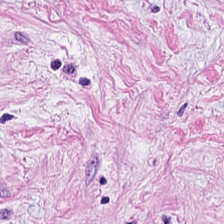Stain: H&E.
Predominant tissue: tumor stroma.
